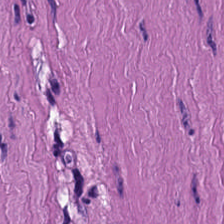H&E stain. 224×224 px tile. FFPE. Finding — smooth-muscle tissue.
